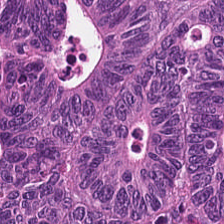Hematoxylin-and-eosin stained section; 224×224 pixel tile; WSI patch.
This patch shows tumor epithelium.
